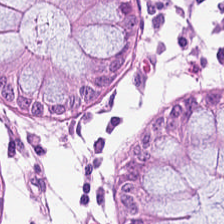Q: What tissue type is shown here?
A: The field shows normal colon mucosa.
